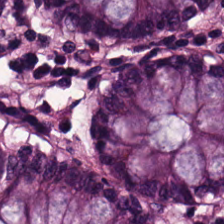Predominantly normal colonic mucosa.
